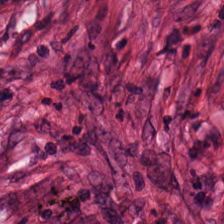0.5 microns per pixel; H&E-stained tissue section; brightfield microscopy — The predominant tissue is tumor stroma.
